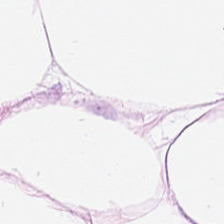Hematoxylin and eosin.
Histology → adipocytes.
